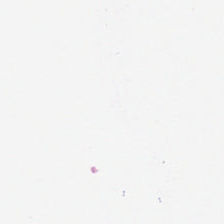Stain: H&E stain.
Field content: background (no tissue).
